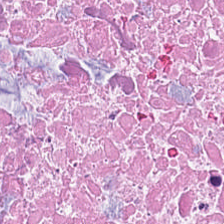H&E stain. This patch shows necrotic debris.
